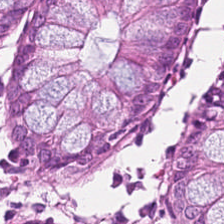H&E. 224×224 px patch. Tissue type — non-neoplastic colon mucosa.
